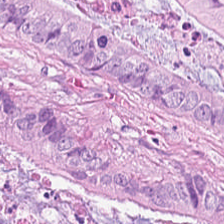WSI patch · FFPE tissue section · H&E-stained tissue section.
The tissue is tumor epithelium.
